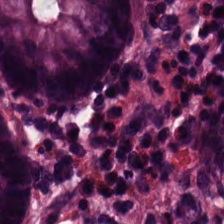Hematoxylin and eosin · formalin-fixed paraffin-embedded section · 0.5 microns per pixel — Classification: normal colonic mucosa.
